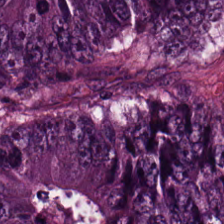Formalin-fixed paraffin-embedded section; H&E stain. The predominant tissue is adenocarcinoma.
